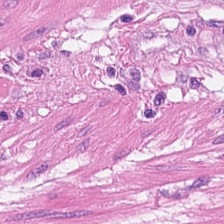224×224 px tile · brightfield · hematoxylin-and-eosin stained section — Muscularis.
